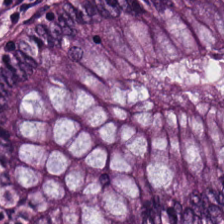Hematoxylin-and-eosin stained section.
This patch shows benign colonic mucosa.
